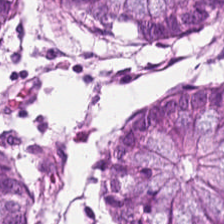224×224 px patch. Hematoxylin and eosin — Tissue type — non-neoplastic colon mucosa.
